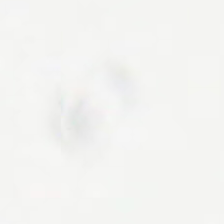Q: Classify this patch.
A: This is empty background.
